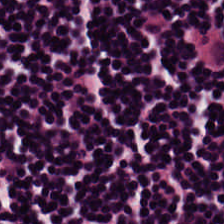Stain: H&E.
Tissue: lymphocytic infiltrate.
